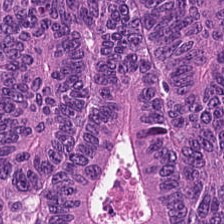H&E · WSI patch. Q: What is shown in this field?
A: It is malignant epithelium.
